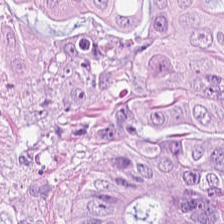H&E stain. Tissue class — colorectal adenocarcinoma epithelium.
